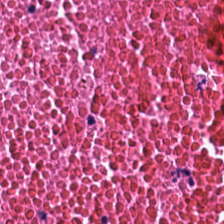H&E. Q: What tissue type is shown here?
A: The field shows necrotic debris.
